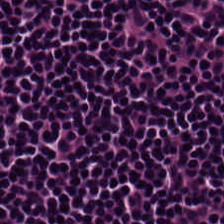Hematoxylin-and-eosin stained section · FFPE · whole-slide-image patch — Showing lymphocyte aggregate.
